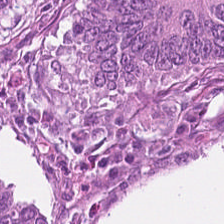FFPE tissue section. Brightfield. Hematoxylin and eosin — Q: What type of tissue is this?
A: The field shows colorectal adenocarcinoma.
